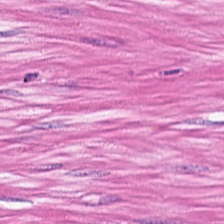Stain: H&E-stained tissue section.
Tissue type: smooth muscle.
